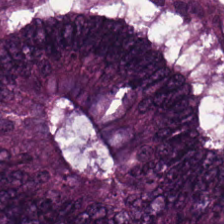Hematoxylin and eosin. The tissue here is colorectal adenocarcinoma.
